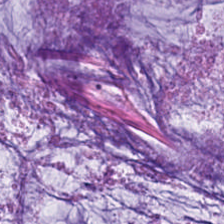This field is extracellular mucin.
